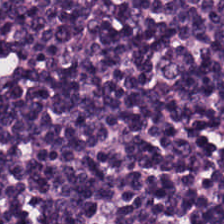H&E — This field is lymphocytes.
